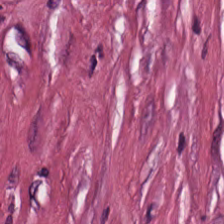H&E — Classification: desmoplastic stroma.
